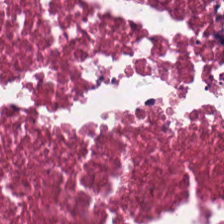Hematoxylin-and-eosin stained section. 224×224 pixel tile.
The tissue here is debris.
